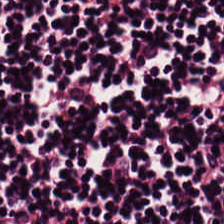H&E-stained tissue section · 0.5 µm/px. This patch shows lymphocytes.
